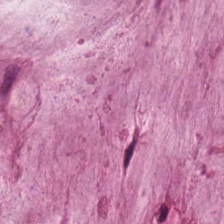H&E. Classification — extracellular mucin.
